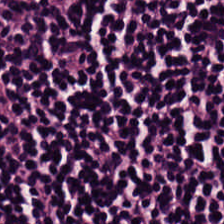H&E.
This patch shows lymphocytic infiltrate.
